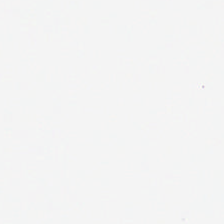H&E stain.
Impression → no tissue.
